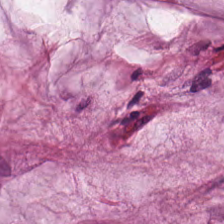Classification: mucus.
